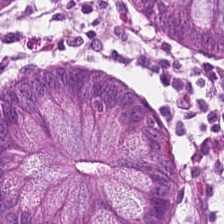H&E stain; brightfield. Normal colon mucosa.
